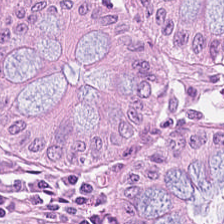0.5 µm/px. Hematoxylin and eosin. Q: What type of tissue is this?
A: This is normal colonic mucosa.
